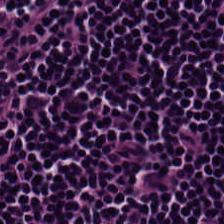H&E-stained tissue section.
Lymphocytic infiltrate.
